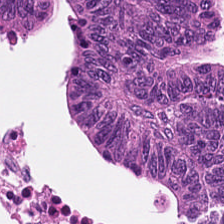H&E-stained section; the field shows adenocarcinoma.
